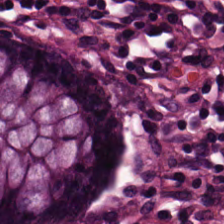Hematoxylin-and-eosin stained section. The classification is normal colonic mucosa.
